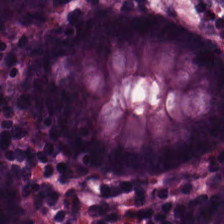Hematoxylin and eosin. 224×224 px tile. 0.5 µm/px.
The predominant tissue is non-neoplastic colon mucosa.
